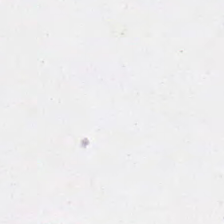Hematoxylin-and-eosin stained section.
Content — empty background.
